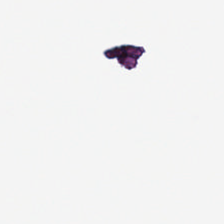224×224 px patch · hematoxylin-and-eosin stained section — Field content = background (no tissue).
